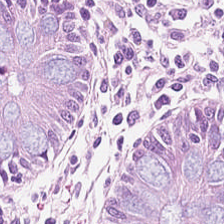Hematoxylin-and-eosin stained section — Q: Identify the tissue.
A: It is normal colon mucosa.
